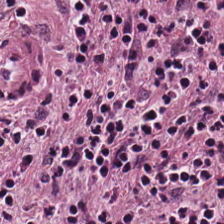Stain: hematoxylin-and-eosin stained section.
Preparation: formalin-fixed paraffin-embedded section.
Tissue class: lymphocytes.
